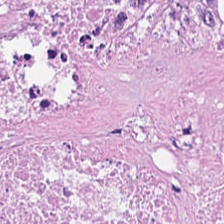H&E-stained tissue section — {"tissue_type": "debris"}
